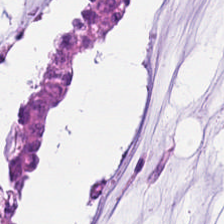Q: What type of tissue is this?
A: It is mucus.
